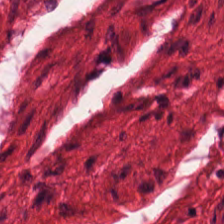H&E-stained tissue section showing muscularis.
